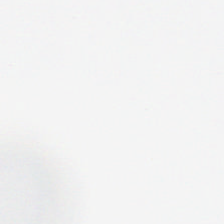H&E stain — Impression → background (no tissue).
